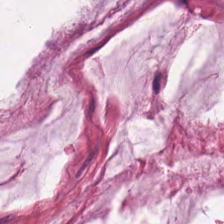Stain: H&E-stained tissue section.
Acquisition: brightfield.
Classification: extracellular mucin.
